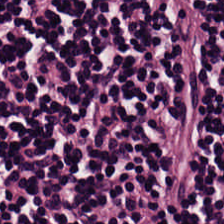Hematoxylin and eosin. This patch shows lymphocytic infiltrate.
